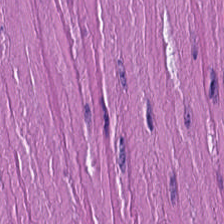0.5 µm/px · FFPE tissue section · H&E-stained tissue section. The tissue class is smooth-muscle tissue.
